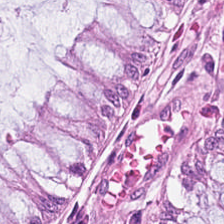H&E stain. Q: What is shown in this field?
A: This is benign colonic mucosa.
